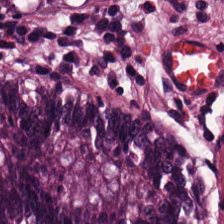H&E stain. Brightfield — Showing normal colonic mucosa.
